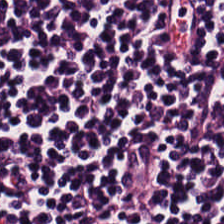Formalin-fixed paraffin-embedded section · H&E — Showing lymphocytic infiltrate.
